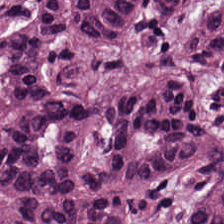Hematoxylin and eosin.
Q: What is shown in this field?
A: This is malignant epithelium.
